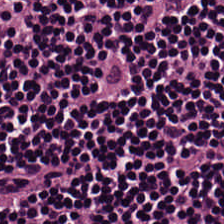Histology → lymphocytes.
